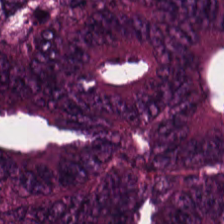Showing colorectal adenocarcinoma.
